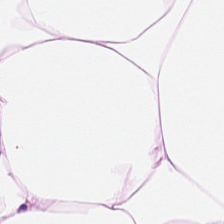Whole-slide-image patch. FFPE tissue section. Hematoxylin and eosin — Q: What is shown here?
A: It is adipose tissue.
